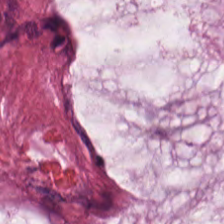H&E stain; FFPE. Q: What type of tissue is this?
A: The field shows extracellular mucin.
